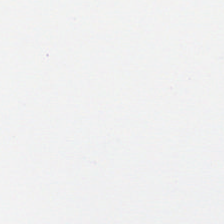H&E stain. Formalin-fixed paraffin-embedded section. No tissue.
